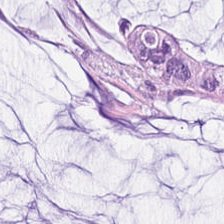Hematoxylin and eosin. This field is mucin.
